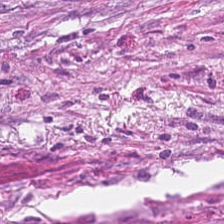224×224 px tile; hematoxylin and eosin. Q: What does this patch show?
A: The field shows desmoplastic stroma.
